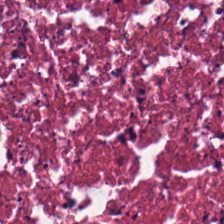0.5 µm/px; H&E-stained tissue section — Histology — necrotic debris.
